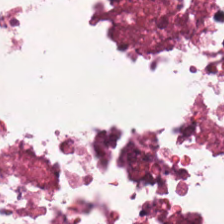Stain: H&E.
Tissue class: necrotic debris.
